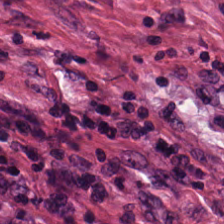H&E stain. 224×224 pixel tile — The tissue here is cancer-associated stroma.
